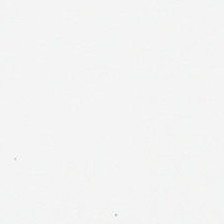Hematoxylin and eosin.
Histology → no tissue.
